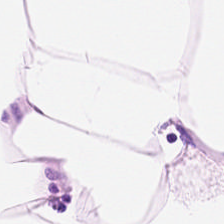FFPE; H&E-stained tissue section. Tissue = adipose tissue.
